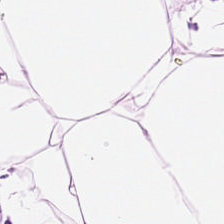Hematoxylin-and-eosin stained section — This field is fat tissue.
